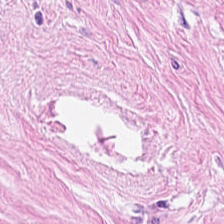0.5 microns per pixel · H&E-stained tissue section. Showing cancer-associated stroma.
